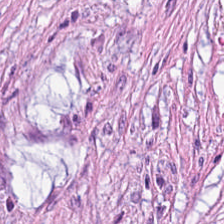H&E — The tissue is desmoplastic stroma.
